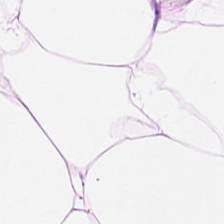H&E.
Finding → adipocytes.
